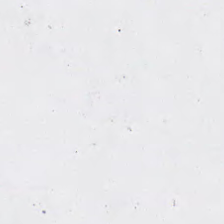Hematoxylin-and-eosin stained section · brightfield microscopy · FFPE tissue section — Background — no tissue in this field.
